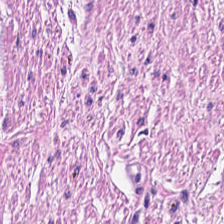Histology — muscularis.
